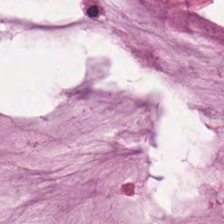Hematoxylin-and-eosin stained section.
Predominantly extracellular mucin.
